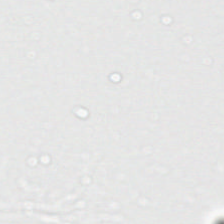Hematoxylin-and-eosin stained section · FFPE tissue section.
{"content": "empty background"}
